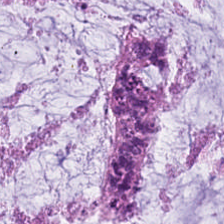Stain: H&E stain.
Acquisition: brightfield microscopy.
Tissue: mucin.
